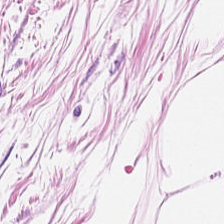Stain: H&E.
Tile size: 224×224 pixel tile.
Tissue: adipose.
